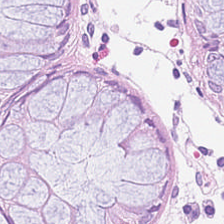H&E. 0.5 microns per pixel. This field is normal colon mucosa.
